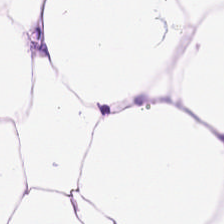Predominantly fat tissue.
